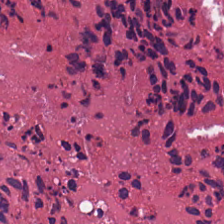H&E-stained section; the field shows cellular debris.
